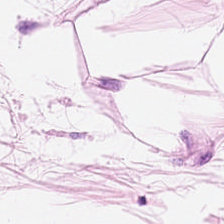Adipose tissue.
